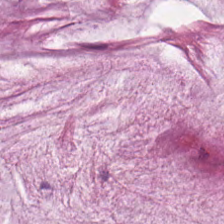0.5 microns per pixel. H&E-stained tissue section — Predominant tissue: mucin.
